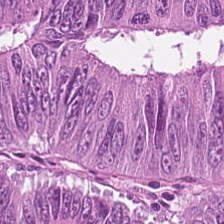224×224 pixel tile. H&E-stained tissue section — The predominant tissue is tumor epithelium.
